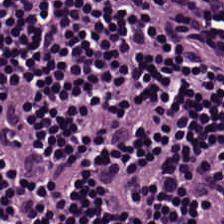H&E — Q: What does this patch show?
A: Lymphoid infiltrate.
